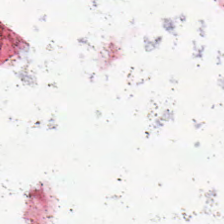Hematoxylin and eosin.
Content = background.
